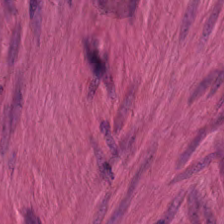H&E. Predominantly muscularis.
